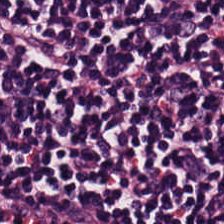0.5 µm per pixel. H&E.
The predominant tissue is lymphoid infiltrate.
